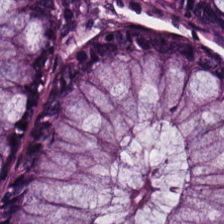H&E-stained tissue section. Predominant tissue: benign colonic mucosa.
